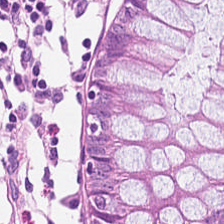H&E stain. Tissue type: non-neoplastic colon mucosa.
